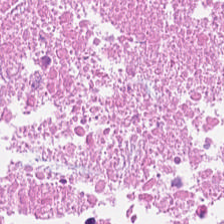H&E — This patch shows debris.
